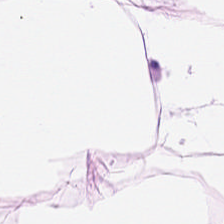Stain: H&E-stained tissue section.
Predominant tissue: fat tissue.
